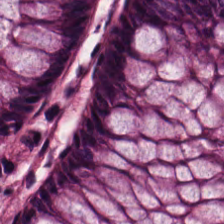Showing normal colon mucosa.
